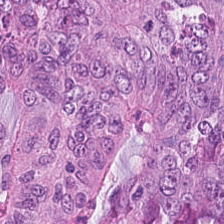H&E-stained tissue section · 0.5 µm per pixel. Classification = tumor epithelium.
